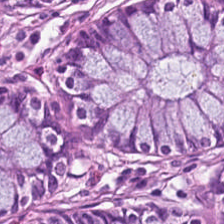Stain: H&E-stained tissue section.
Tissue type: non-neoplastic colon mucosa.
